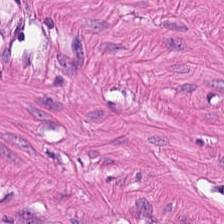H&E — The predominant tissue is smooth muscle.
